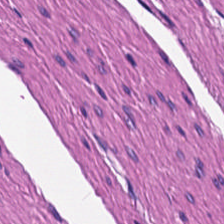Showing smooth-muscle tissue.
